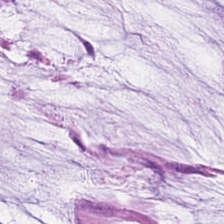H&E stain.
Tissue type = extracellular mucin.
